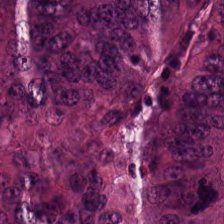H&E. The tissue class is adenocarcinoma.
